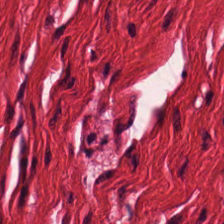Tissue: smooth muscle.
